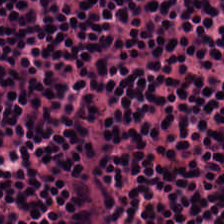H&E stain.
Showing lymphocytes.
